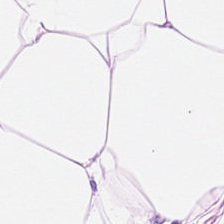Stain: H&E-stained tissue section.
Tissue class: adipocytes.
